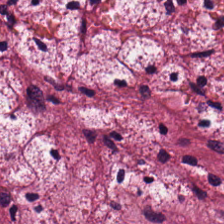Stain: hematoxylin and eosin.
Tissue: cancer-associated stroma.
